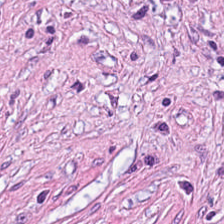Hematoxylin and eosin.
Finding → cancer-associated stroma.
